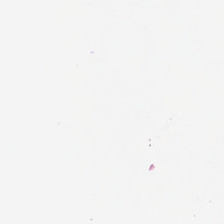Hematoxylin-and-eosin stained section. FFPE tissue section. Empty field — background (no tissue).
